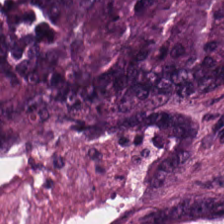H&E stain.
Tissue class = tumor epithelium.
